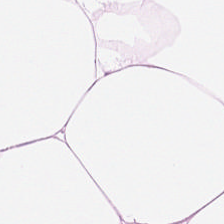H&E stain · formalin-fixed paraffin-embedded section · brightfield.
Q: What tissue is shown?
A: It is adipocytes.
